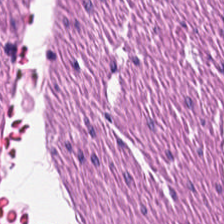Stain: H&E-stained tissue section.
Tissue class: smooth-muscle tissue.
